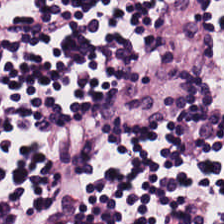Lymphocytes.
